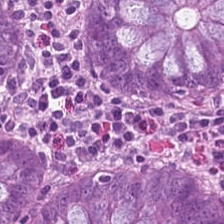224×224 px tile; 0.5 µm/px; H&E-stained tissue section.
Tissue — normal colon mucosa.
